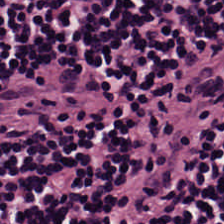Whole-slide-image patch. 0.5 µm/px. Hematoxylin and eosin.
Q: Identify the tissue.
A: The field shows lymphocytic infiltrate.
